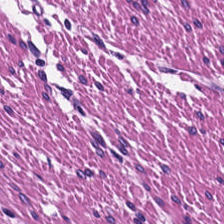Muscularis.
